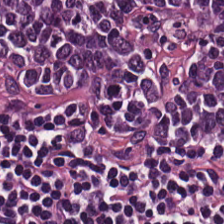Brightfield. Hematoxylin-and-eosin stained section. 0.5 microns per pixel — Predominant tissue: lymphocyte aggregate.
